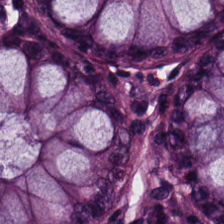Hematoxylin-and-eosin stained section · brightfield microscopy.
Q: What type of tissue is this?
A: This is benign colonic mucosa.
